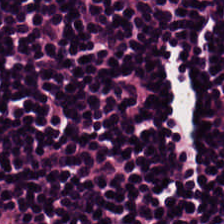WSI patch; hematoxylin and eosin.
Classification = lymphocytic infiltrate.
